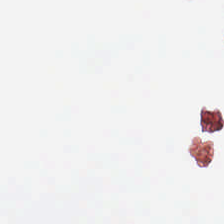Hematoxylin-and-eosin stained section.
This patch shows background.
